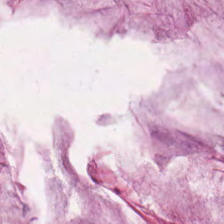Brightfield microscopy; H&E. Tissue class: extracellular mucin.
